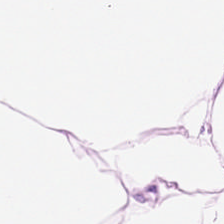H&E-stained tissue section. Showing fat tissue.
